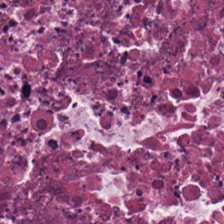Stain: hematoxylin and eosin.
Predominant tissue: cellular debris.
